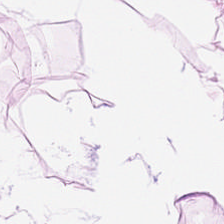H&E.
Q: Identify the tissue.
A: It is adipose tissue.
